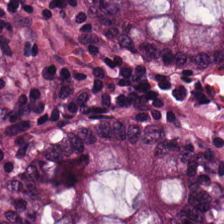Impression — non-neoplastic colon mucosa.
